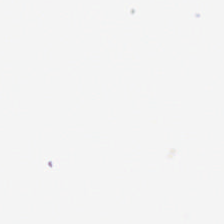FFPE · H&E-stained tissue section. Q: What is shown in this field?
A: Background (no tissue).
